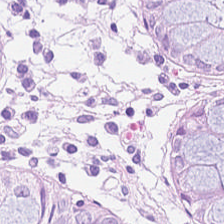Hematoxylin-and-eosin stained section.
Predominantly normal colon mucosa.
